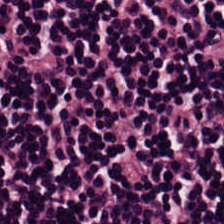H&E stain — Q: What tissue type is shown here?
A: This is lymphocytes.
